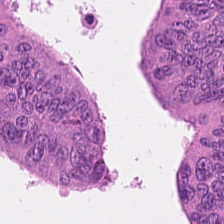Whole-slide-image patch. H&E. 0.5 µm per pixel.
Tissue class: adenocarcinoma.
